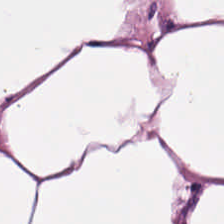Brightfield microscopy. H&E-stained tissue section. 20× equivalent magnification. Predominantly fat tissue.
